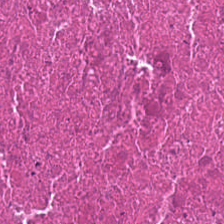Hematoxylin-and-eosin stained section. Brightfield microscopy.
The tissue here is debris.
